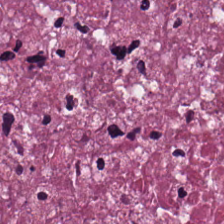FFPE. Hematoxylin and eosin.
{"tissue_type": "necrotic debris"}
